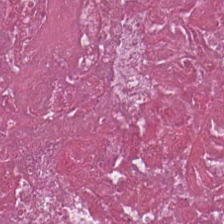Impression → necrotic debris.
